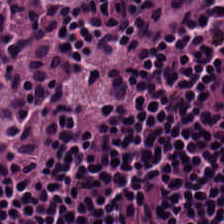WSI patch; hematoxylin and eosin.
The tissue is lymphocytes.
